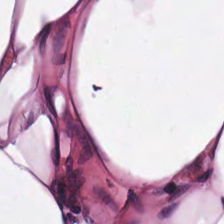Classification — adipose tissue.
